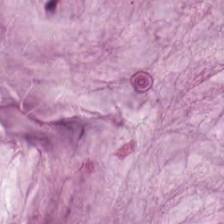Hematoxylin and eosin. FFPE.
Classification — mucin.
